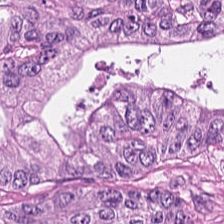0.5 microns per pixel; hematoxylin-and-eosin stained section — Tissue type: colorectal adenocarcinoma.
